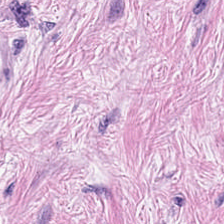Hematoxylin-and-eosin section: tumor stroma.
